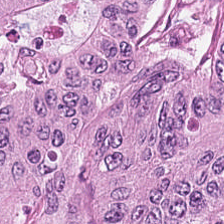FFPE; hematoxylin-and-eosin stained section — The tissue is malignant epithelium.
